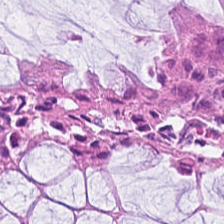H&E; 224×224 pixel tile; FFPE. Q: What is shown in this field?
A: It is normal colonic mucosa.
